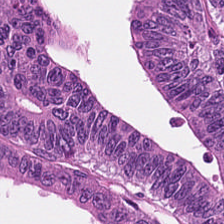Histology → colorectal adenocarcinoma.
